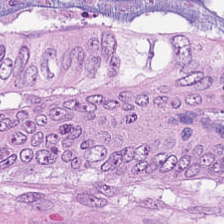224×224 px patch; H&E — Q: What tissue is shown?
A: The field shows colorectal adenocarcinoma.
